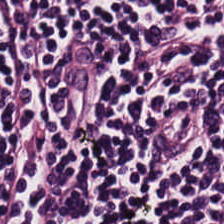Hematoxylin-and-eosin stained section. 0.5 µm per pixel — Predominantly lymphocyte aggregate.
